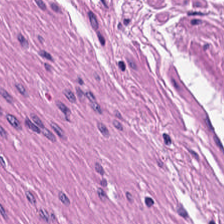WSI patch. H&E. The tissue is smooth-muscle tissue.
